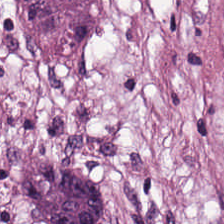H&E stain — Showing tumor stroma.
